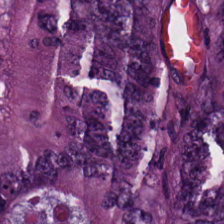Hematoxylin-and-eosin stained section. Showing adenocarcinoma.
